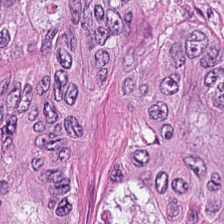Hematoxylin-and-eosin stained section. Tissue — adenocarcinoma.
